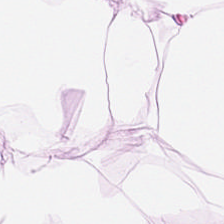Formalin-fixed paraffin-embedded section. H&E stain — This patch shows adipocytes.
